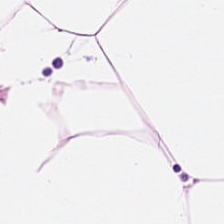H&E-stained tissue section.
Tissue: adipocytes.
